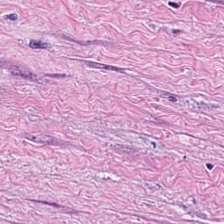H&E stain. Formalin-fixed paraffin-embedded section — {"tissue_type": "desmoplastic stroma"}
